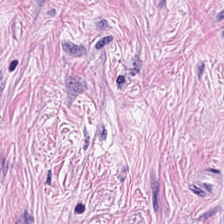H&E. Brightfield — Cancer-associated stroma.
